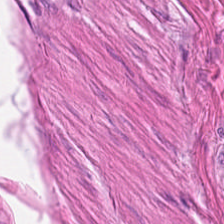H&E. Predominant tissue — smooth muscle.
